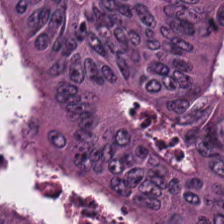Showing colorectal adenocarcinoma epithelium.
